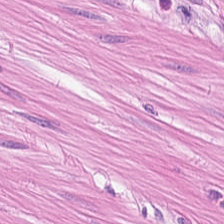H&E stain. Muscularis.
